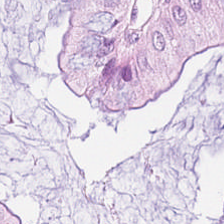H&E stain.
Predominant tissue — benign colonic mucosa.
